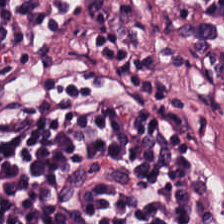Lymphoid infiltrate.
